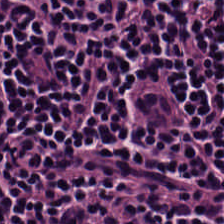Hematoxylin and eosin — {"tissue_type": "lymphoid infiltrate"}
